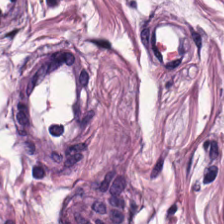Stain: H&E stain.
Predominant tissue: smooth-muscle tissue.
